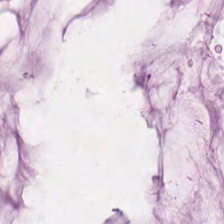Hematoxylin-and-eosin stained section. Mucus.
